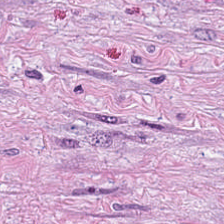Hematoxylin and eosin — Predominant tissue: desmoplastic stroma.
